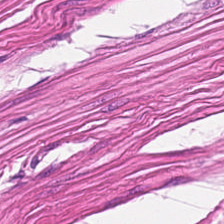H&E-stained tissue section. Tissue — muscularis.
